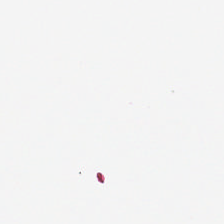H&E-stained tissue section. The field content is empty background.
